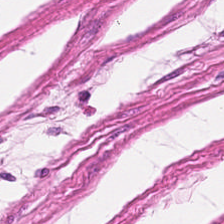Q: What is shown here?
A: Smooth-muscle tissue.
